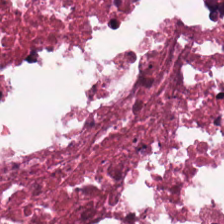H&E-stained tissue section — {"tissue_type": "cellular debris"}
